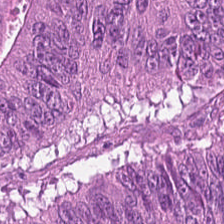Tissue class — tumor epithelium.
